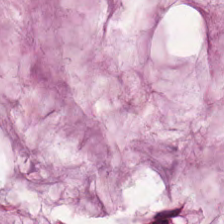H&E. The tissue is extracellular mucin.
